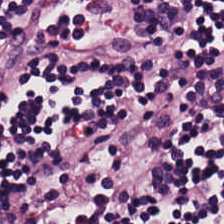FFPE tissue section; H&E stain. Predominantly lymphocytic infiltrate.
